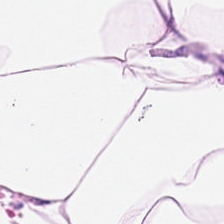Hematoxylin-and-eosin stained section — Tissue — adipose tissue.
